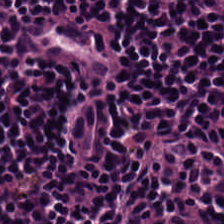WSI patch · H&E-stained tissue section · 0.5 µm/px. Q: Classify this patch.
A: The field shows lymphocyte aggregate.
